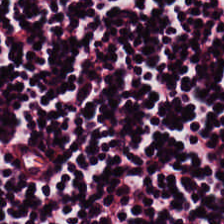224×224 pixel tile · formalin-fixed paraffin-embedded section · H&E-stained tissue section.
Lymphocyte aggregate.
